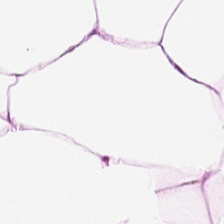0.5 µm per pixel · formalin-fixed paraffin-embedded section · H&E-stained tissue section. The tissue is adipose tissue.
